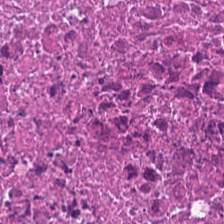Stain: hematoxylin and eosin.
Tissue: necrotic debris.
